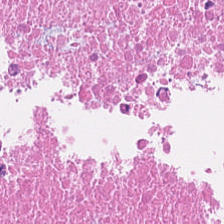Stain: hematoxylin and eosin.
Preparation: FFPE tissue section.
Tissue class: necrotic debris.
